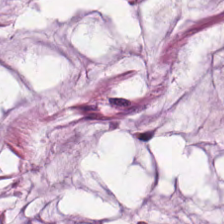224×224 px tile; H&E-stained tissue section; whole-slide-image patch. The classification is mucus.
